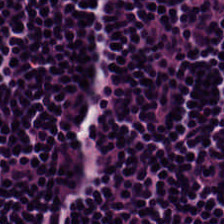0.5 microns per pixel · H&E — Q: What is shown here?
A: The field shows lymphocytes.
